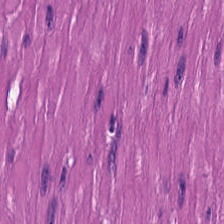Tissue class — smooth muscle.
